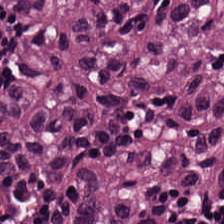Tissue — colorectal adenocarcinoma.
